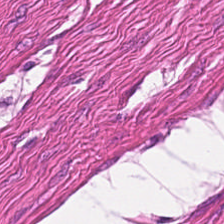The tissue here is smooth muscle.
